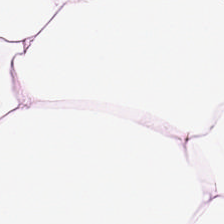Brightfield · hematoxylin and eosin · FFPE tissue section. This field is adipocytes.
